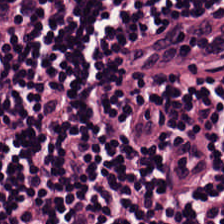H&E-stained tissue section showing lymphocytic infiltrate.
